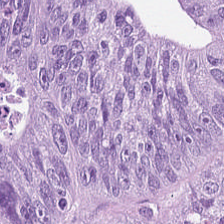Formalin-fixed paraffin-embedded section · hematoxylin-and-eosin stained section. Tissue: tumor epithelium.
